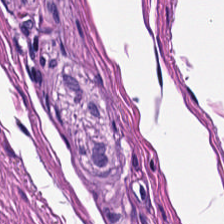H&E-stained tissue section — Histology → smooth muscle.
